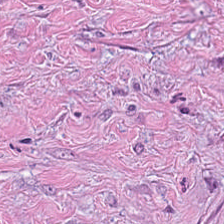Predominant tissue = desmoplastic stroma.
